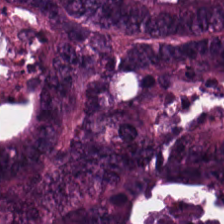H&E — This patch shows colorectal adenocarcinoma.
